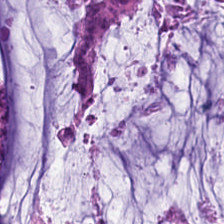20× equivalent magnification · FFPE tissue section · H&E stain.
Classification = mucin.
